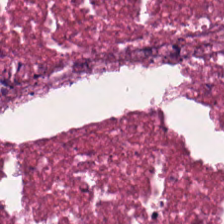Stain: H&E stain.
Predominant tissue: cellular debris.
